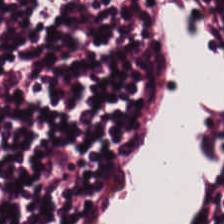H&E stain.
Tissue class: lymphocyte aggregate.
